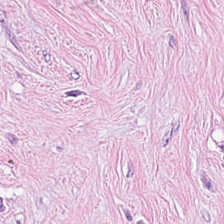0.5 µm per pixel. H&E-stained tissue section — {"tissue_type": "tumor-associated stroma"}
